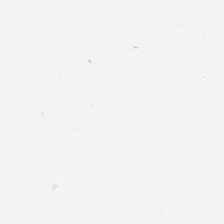Stain: hematoxylin-and-eosin stained section.
Preparation: formalin-fixed paraffin-embedded section.
Acquisition: whole-slide-image patch.
Field content: empty background.
